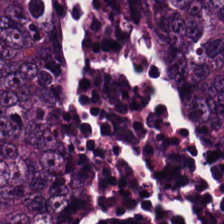H&E. The predominant tissue is colorectal adenocarcinoma.
